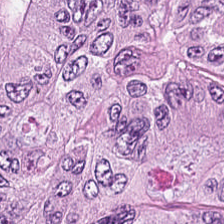224×224 pixel tile · hematoxylin and eosin.
Classification = tumor epithelium.
